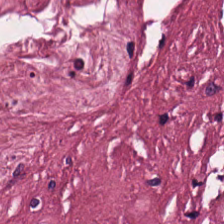H&E stain — Tissue type = desmoplastic stroma.
